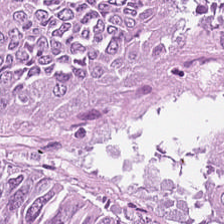H&E · formalin-fixed paraffin-embedded section — Tissue type = colorectal adenocarcinoma epithelium.
